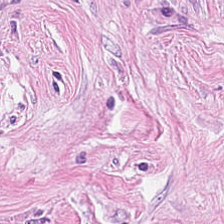H&E-stained tissue section — Cancer-associated stroma.
